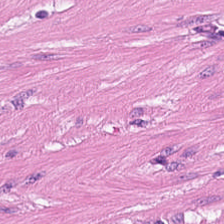Q: What is shown in this field?
A: Smooth muscle.
